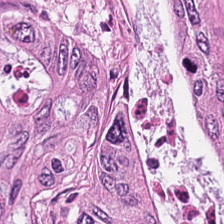Hematoxylin and eosin. Histology — adenocarcinoma.
